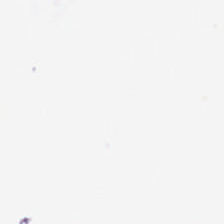Stain: H&E stain.
Resolution: 0.5 µm per pixel.
Acquisition: brightfield microscopy.
Field content: no tissue.
